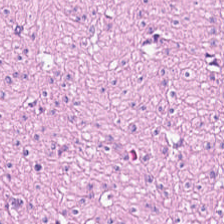H&E stain.
This patch shows muscularis.
